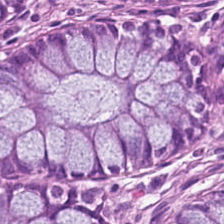0.5 µm per pixel · 224×224 pixel tile · hematoxylin-and-eosin stained section. Tissue type: normal colonic mucosa.
